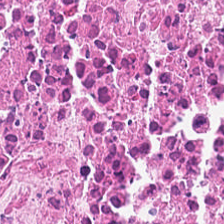H&E-stained section; the field shows debris.
